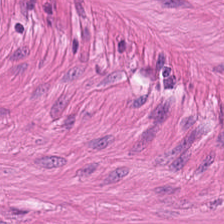Formalin-fixed paraffin-embedded section. WSI patch. H&E-stained tissue section.
Histology → muscularis.
